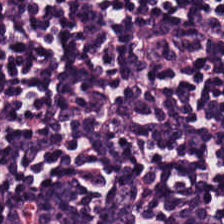Hematoxylin-and-eosin stained section. Brightfield microscopy. Showing lymphocyte aggregate.
